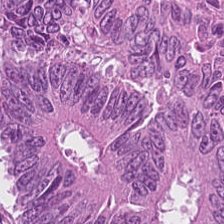Hematoxylin and eosin.
Finding — tumor epithelium.
